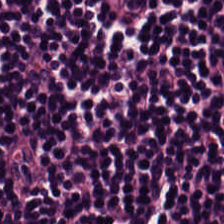H&E-stained tissue section. FFPE.
The tissue class is lymphocyte aggregate.
